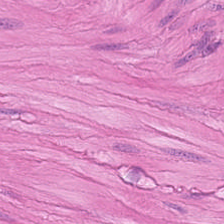H&E.
Classification = smooth-muscle tissue.
